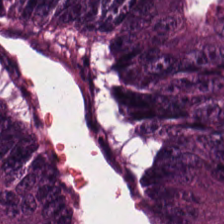Stain: H&E-stained tissue section.
Predominant tissue: malignant epithelium.
